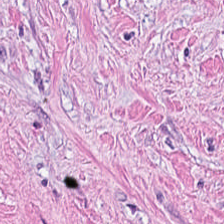H&E. Formalin-fixed paraffin-embedded section. This patch shows tumor stroma.
